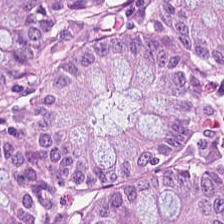The classification is normal colonic mucosa.
